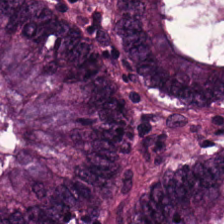H&E stain. Impression → tumor epithelium.
